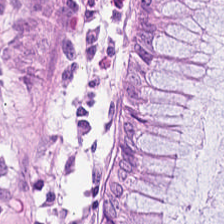Formalin-fixed paraffin-embedded section · brightfield microscopy · hematoxylin-and-eosin stained section.
Classification — non-neoplastic colon mucosa.
